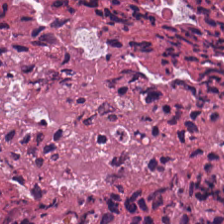FFPE tissue section; hematoxylin and eosin.
The predominant tissue is cellular debris.
